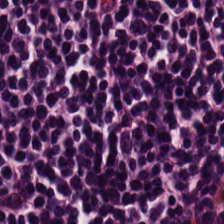Hematoxylin and eosin. Tissue type — lymphocytes.
